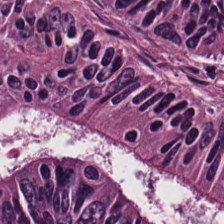H&E — Finding — malignant epithelium.
